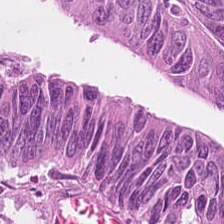Hematoxylin-and-eosin stained section. Histology → malignant epithelium.
